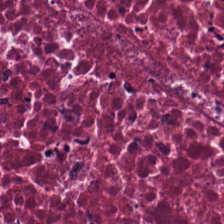Finding — necrotic debris.
